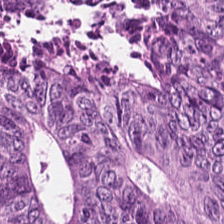H&E-stained tissue section. Tissue: tumor epithelium.
